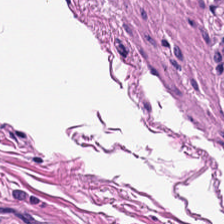H&E-stained section; the field shows muscularis.
